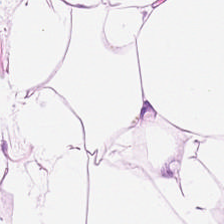H&E.
The tissue here is adipose.
